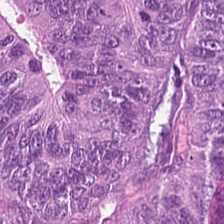0.5 microns per pixel; 224×224 px patch; hematoxylin-and-eosin stained section. This patch shows malignant epithelium.
